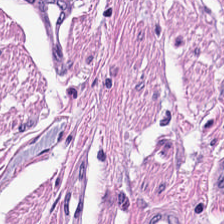H&E stain · WSI patch · 224×224 pixel tile. Smooth-muscle tissue.
